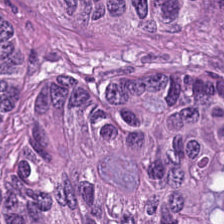H&E-stained tissue section — The predominant tissue is colorectal adenocarcinoma epithelium.
